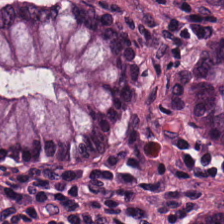Stain: hematoxylin and eosin.
Tissue class: normal colon mucosa.
